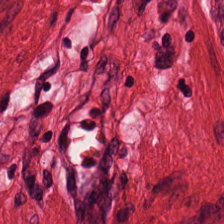Stain: H&E stain.
Preparation: FFPE tissue section.
Classification: muscularis.
